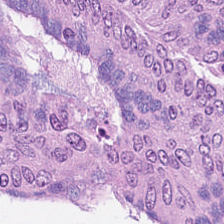Hematoxylin-and-eosin stained section — Q: What is the predominant tissue type?
A: This is colorectal adenocarcinoma.
